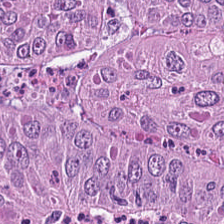H&E.
This patch shows adenocarcinoma.
